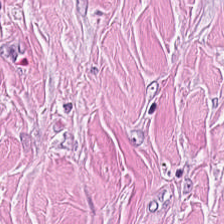Hematoxylin and eosin.
Histology — desmoplastic stroma.
